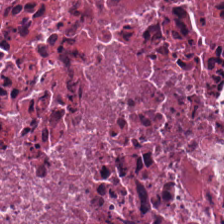Hematoxylin-and-eosin stained section — This field is necrotic debris.
